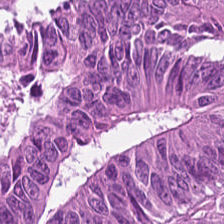0.5 µm per pixel · H&E. Q: What does this patch show?
A: It is adenocarcinoma.
